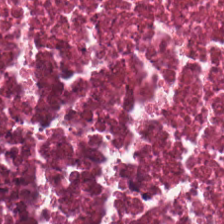Hematoxylin and eosin — Q: What is the predominant tissue type?
A: It is necrotic debris.
